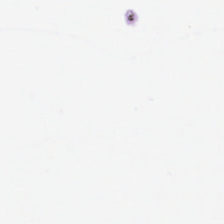FFPE tissue section · 224×224 px patch · hematoxylin-and-eosin stained section. The classification is background.
